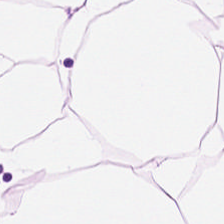H&E stain. {"tissue_type": "fat tissue"}
